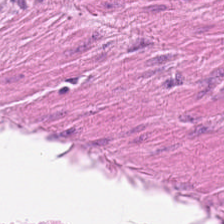Hematoxylin-and-eosin stained section · FFPE tissue section · 224×224 pixel tile — Tissue class — muscularis.
